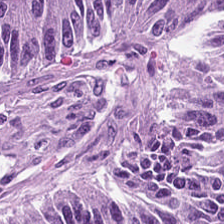0.5 microns per pixel; H&E stain; formalin-fixed paraffin-embedded section — {"tissue_type": "malignant epithelium"}
